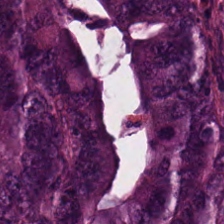Stain: hematoxylin and eosin.
Predominant tissue: tumor epithelium.
